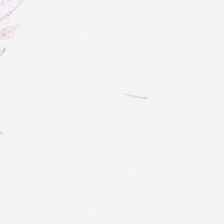H&E.
Histology — fat tissue.
